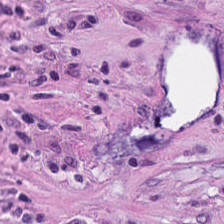H&E stain. 0.5 µm per pixel.
Predominant tissue: desmoplastic stroma.
